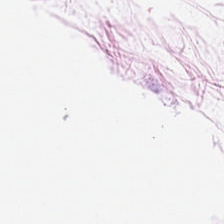H&E-stained tissue section.
This patch shows fat tissue.
